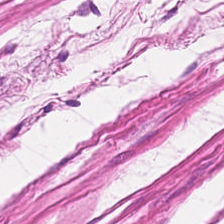Stain: H&E-stained tissue section.
Tile size: 224×224 px tile.
Tissue class: smooth muscle.
